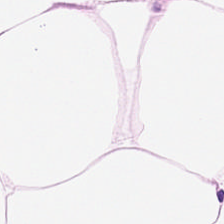Histology — adipocytes.
